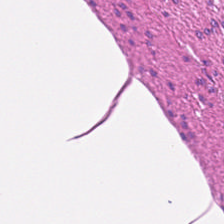Hematoxylin and eosin. Q: Classify this patch.
A: It is muscularis.
